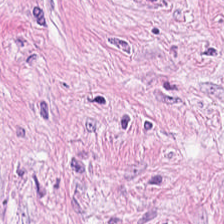H&E-stained tissue section. Showing desmoplastic stroma.
